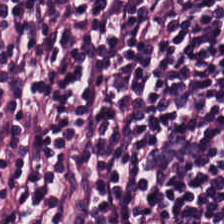Tissue class — lymphoid infiltrate.
